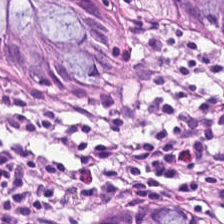Hematoxylin and eosin. Q: What is shown in this field?
A: Normal colon mucosa.
